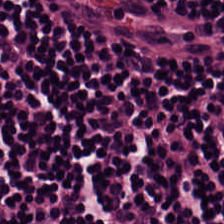H&E. Lymphoid infiltrate.
